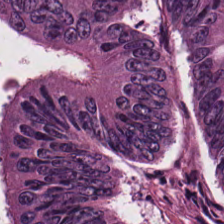Hematoxylin and eosin. Classification: tumor epithelium.
